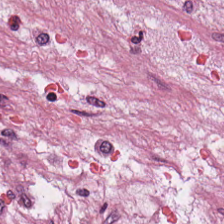Brightfield. Hematoxylin and eosin.
Showing tumor stroma.
